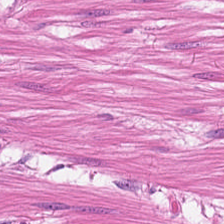224×224 px tile. WSI patch. H&E. Tissue type — smooth muscle.
